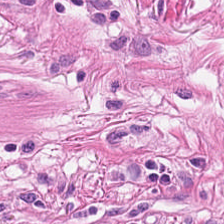Tissue type — muscularis.
